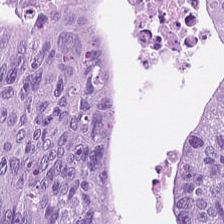Hematoxylin-and-eosin stained section — Q: What is shown in this field?
A: The field shows adenocarcinoma.
